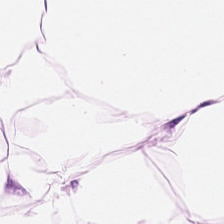Stain: hematoxylin-and-eosin stained section.
Classification: adipose.
